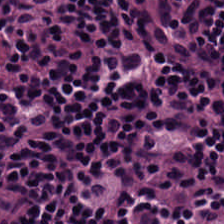WSI patch; 0.5 microns per pixel; H&E-stained tissue section — The tissue is lymphocytes.
